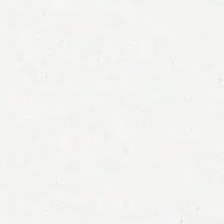This patch shows no tissue.
